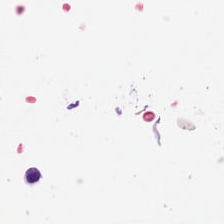Stain: hematoxylin-and-eosin stained section.
Resolution: 0.5 µm per pixel.
Classification: empty background.
